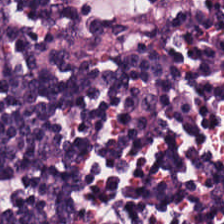H&E stain · 0.5 µm/px.
Tissue type = lymphocytic infiltrate.
